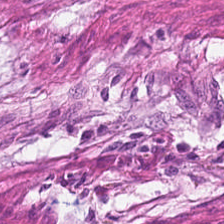Stain: H&E.
Resolution: 0.5 µm per pixel.
Classification: cancer-associated stroma.
